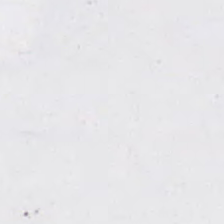Q: What does this patch show?
A: Empty background.
